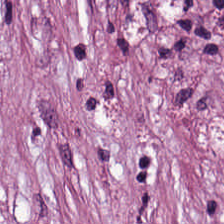Predominant tissue — cancer-associated stroma.
